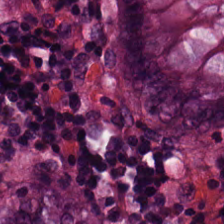H&E — non-neoplastic colon mucosa.
